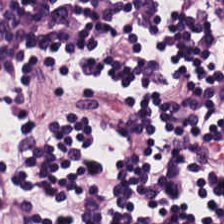20× equivalent magnification; H&E stain; WSI patch — Finding → lymphoid infiltrate.
